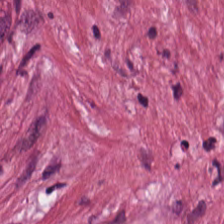Finding — cancer-associated stroma.
